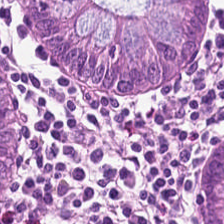H&E-stained tissue section — Finding → normal colon mucosa.
